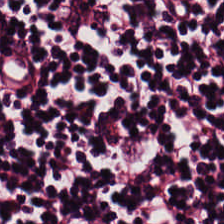H&E-stained tissue section.
Finding → lymphocytes.
